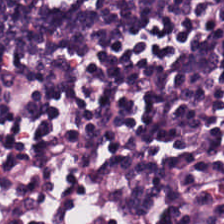224×224 px patch. Hematoxylin and eosin. Formalin-fixed paraffin-embedded section.
Impression — lymphoid infiltrate.
